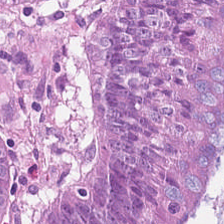Hematoxylin-and-eosin stained section. Q: What does this patch show?
A: Tumor epithelium.
